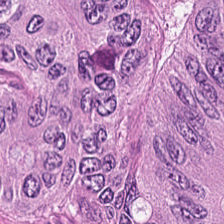H&E. Histology — colorectal adenocarcinoma.
